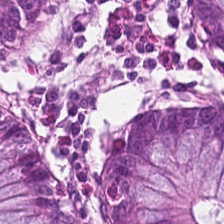The predominant tissue is normal colon mucosa.
